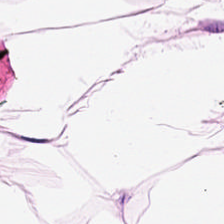Q: Identify the tissue.
A: This is fat tissue.
